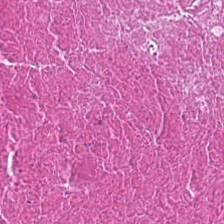H&E-stained section; the field shows debris.
